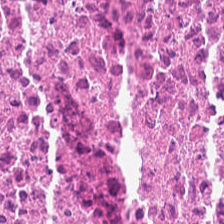H&E-stained tissue section — This patch shows necrotic debris.
